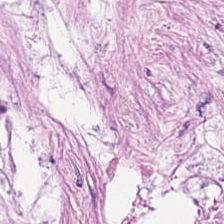20× equivalent magnification; FFPE tissue section; hematoxylin-and-eosin stained section. The predominant tissue is desmoplastic stroma.
